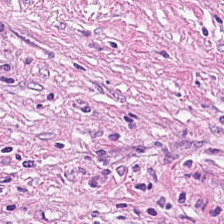Formalin-fixed paraffin-embedded section · hematoxylin-and-eosin stained section. The tissue type is tumor stroma.
